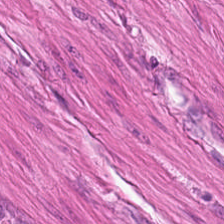Hematoxylin and eosin — Tissue: muscularis.
